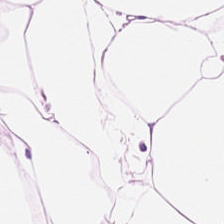Whole-slide-image patch; H&E. Q: Identify the tissue.
A: It is adipose.
